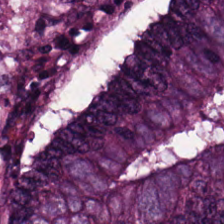Hematoxylin and eosin.
Q: What is the predominant tissue type?
A: This is malignant epithelium.
